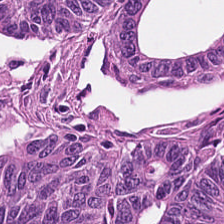0.5 microns per pixel · H&E-stained tissue section — Tissue type: colorectal adenocarcinoma.
